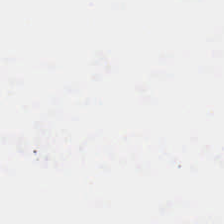Impression — empty background.
